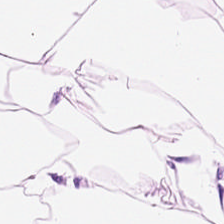0.5 µm/px; H&E. Classification — fat tissue.
